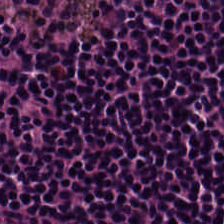Brightfield · hematoxylin and eosin — Classification — lymphoid infiltrate.
